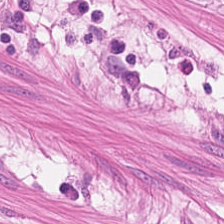WSI patch · hematoxylin-and-eosin stained section · 224×224 px patch.
Showing muscularis.
